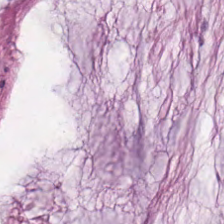H&E. Brightfield microscopy. The predominant tissue is extracellular mucin.
